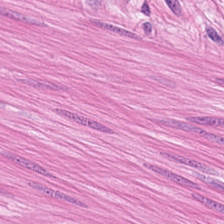0.5 microns per pixel. H&E stain. 224×224 px patch.
Impression — smooth-muscle tissue.
